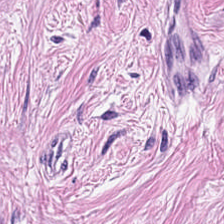Formalin-fixed paraffin-embedded section · hematoxylin and eosin — Classification = cancer-associated stroma.
